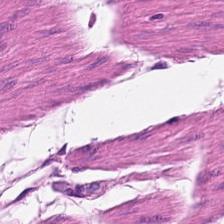Q: What type of tissue is this?
A: This is smooth-muscle tissue.
